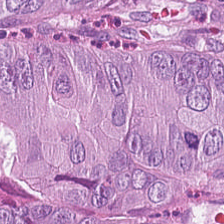H&E-stained tissue section; WSI patch. Q: What type of tissue is this?
A: The field shows colorectal adenocarcinoma.
